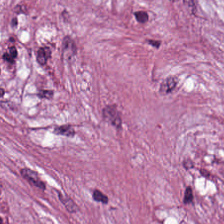Hematoxylin-and-eosin stained section · formalin-fixed paraffin-embedded section. The tissue here is cancer-associated stroma.
